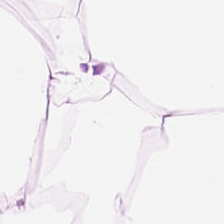Hematoxylin and eosin · brightfield — Predominant tissue: adipocytes.
